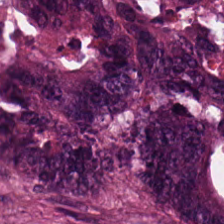Adenocarcinoma.
